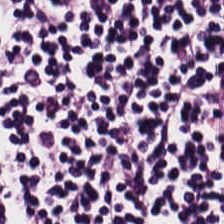H&E stain — Finding → lymphocytes.
